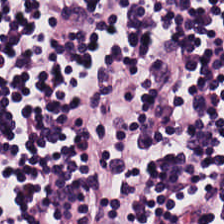Hematoxylin-and-eosin stained section. 224×224 pixel tile. Q: What does this patch show?
A: It is lymphoid infiltrate.
